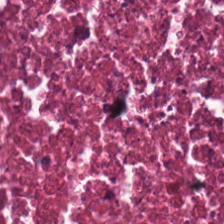H&E; 0.5 µm per pixel — Q: What is shown in this field?
A: Debris.
